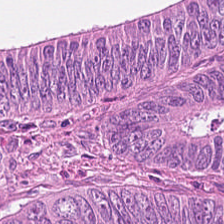Q: What is shown in this field?
A: The field shows adenocarcinoma.
